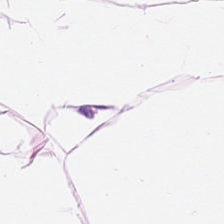Whole-slide-image patch · hematoxylin and eosin — The predominant tissue is adipocytes.
